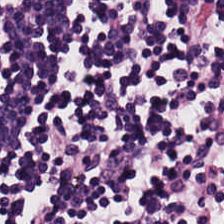0.5 µm per pixel; H&E; FFPE — Predominantly lymphocytes.
